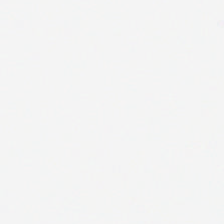Impression → background.
